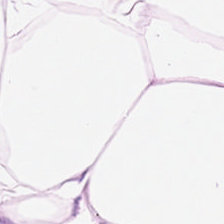H&E-stained tissue section. Adipose tissue.
